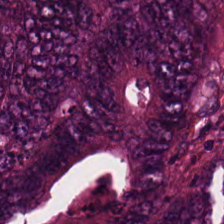Hematoxylin and eosin. 224×224 px tile.
Finding — colorectal adenocarcinoma epithelium.
